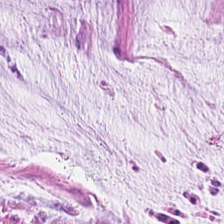Tissue — extracellular mucin.
